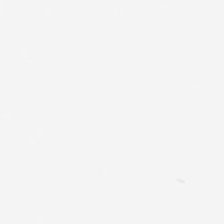Q: Classify this patch.
A: Background.
